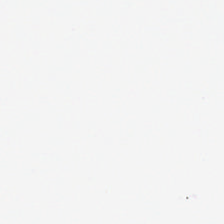20× equivalent magnification; 224×224 pixel tile; hematoxylin-and-eosin stained section — Classification — no tissue.
